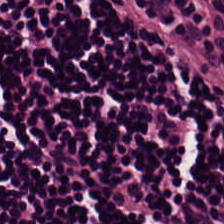H&E stain; FFPE tissue section.
This patch shows lymphocyte aggregate.
